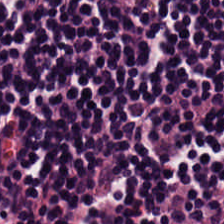H&E stain. Predominant tissue = lymphocytic infiltrate.
